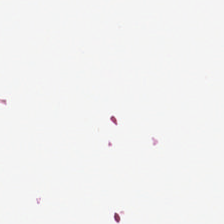No tissue present; background only.
